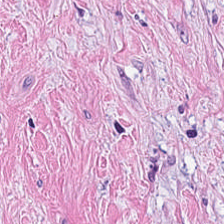224×224 px patch; hematoxylin-and-eosin stained section; 0.5 microns per pixel.
This patch shows cancer-associated stroma.
